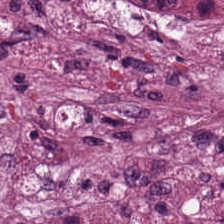Hematoxylin-and-eosin stained section. Tissue — desmoplastic stroma.
